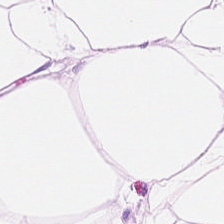H&E-stained tissue section.
Predominantly adipocytes.
